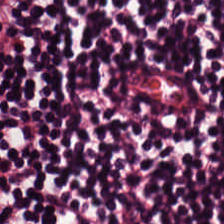H&E.
Classification = lymphocyte aggregate.
